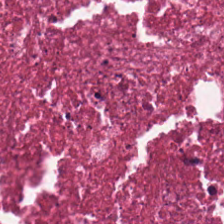Tissue = necrotic debris.
